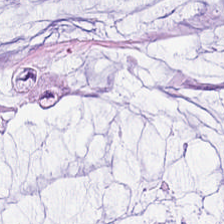H&E — This patch shows extracellular mucin.
